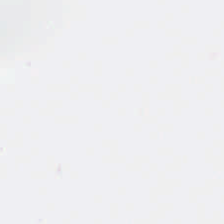Stain: H&E stain.
Resolution: 20× equivalent magnification.
Classification: background.
